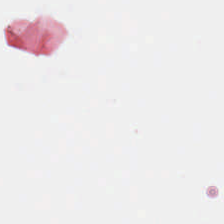H&E; whole-slide-image patch; 0.5 µm per pixel.
Q: What is shown in this field?
A: The field shows empty background.
